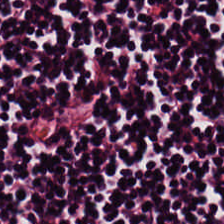H&E-stained tissue section · 224×224 pixel tile — Showing lymphoid infiltrate.
